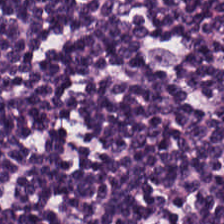Hematoxylin and eosin. Predominantly lymphocyte aggregate.
